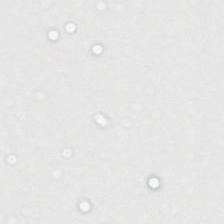This patch shows background (no tissue).
